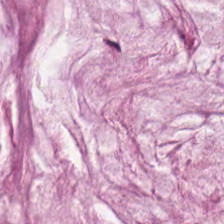Hematoxylin-and-eosin section: mucin.
